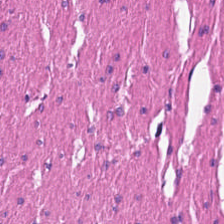H&E.
Q: Identify the tissue.
A: It is smooth muscle.
